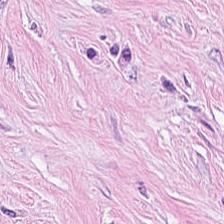H&E stain. Brightfield. 0.5 µm/px.
Predominant tissue = desmoplastic stroma.
